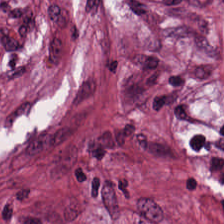Stain: hematoxylin and eosin.
Tile size: 224×224 px patch.
Classification: tumor stroma.
